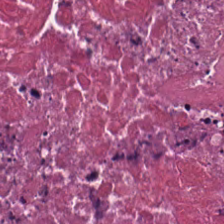H&E.
The predominant tissue is debris.
